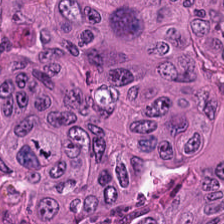H&E-stained tissue section.
Tissue = colorectal adenocarcinoma epithelium.
